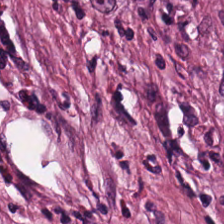The predominant tissue is cancer-associated stroma.
